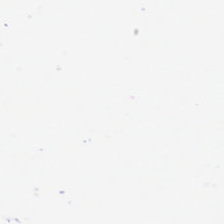H&E.
Classification = background.
